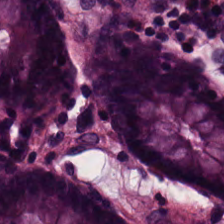Hematoxylin and eosin. The tissue here is normal colonic mucosa.
